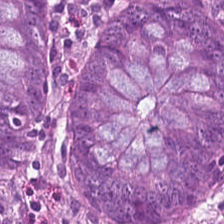H&E-stained tissue section.
The tissue class is normal colon mucosa.
